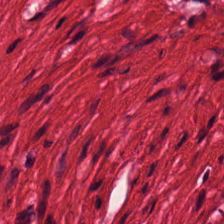This field is smooth muscle.
